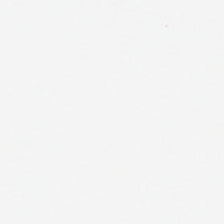Hematoxylin and eosin. Content — background (no tissue).
